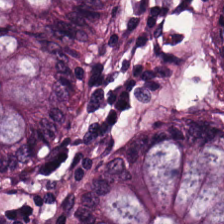Classification = normal colon mucosa.
